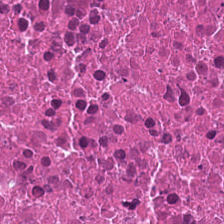H&E stain · 224×224 pixel tile · brightfield — Classification: debris.
